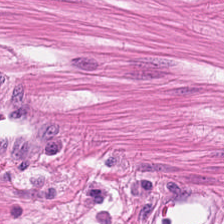H&E stain. Formalin-fixed paraffin-embedded section. This patch shows smooth muscle.
